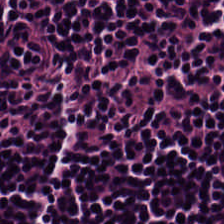Impression → lymphocytic infiltrate.
